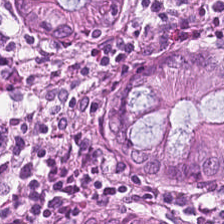H&E stain. 224×224 pixel tile.
{"tissue_type": "benign colonic mucosa"}
